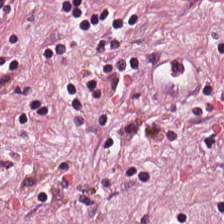FFPE · 224×224 px patch · H&E stain. Tissue = desmoplastic stroma.
